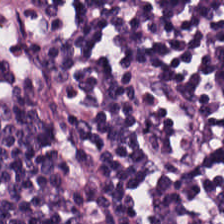Stain: hematoxylin and eosin.
Predominant tissue: lymphocyte aggregate.
